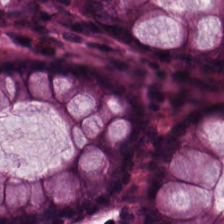Predominantly normal colon mucosa.
